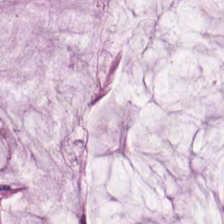H&E-stained tissue section · brightfield microscopy.
Finding — mucus.
